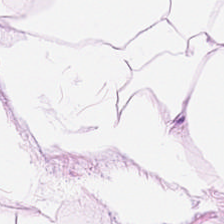Hematoxylin and eosin.
Finding — adipose.
